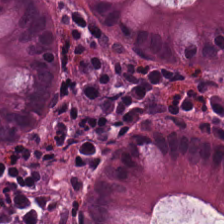H&E-stained tissue section.
The tissue here is non-neoplastic colon mucosa.
